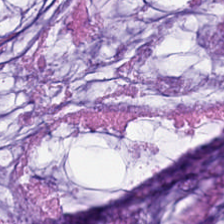Hematoxylin-and-eosin section: mucin.
